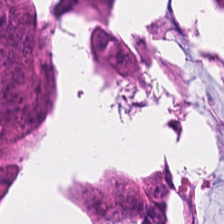FFPE; hematoxylin and eosin; whole-slide-image patch. Showing colorectal adenocarcinoma epithelium.
